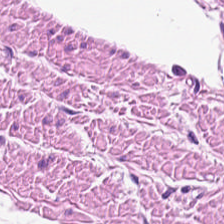Hematoxylin and eosin · brightfield — Tissue — smooth-muscle tissue.
